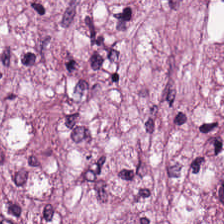H&E stain — The tissue class is cancer-associated stroma.
